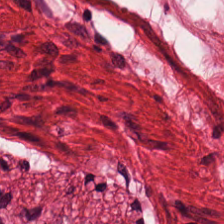Hematoxylin-and-eosin stained section · 20× equivalent magnification — {"tissue_type": "smooth-muscle tissue"}
